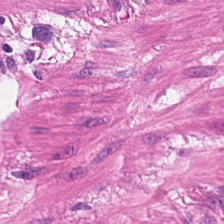224×224 px tile. H&E. WSI patch.
Predominantly smooth muscle.
